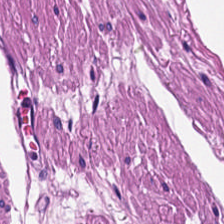224×224 px tile; H&E-stained tissue section. This patch shows muscularis.
